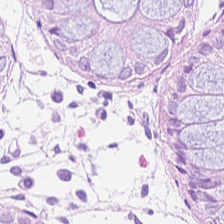0.5 µm/px. H&E stain. Formalin-fixed paraffin-embedded section — Showing non-neoplastic colon mucosa.
